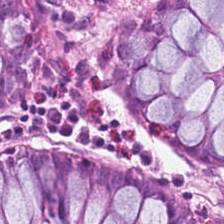224×224 px patch. Formalin-fixed paraffin-embedded section. H&E — The predominant tissue is normal colon mucosa.
